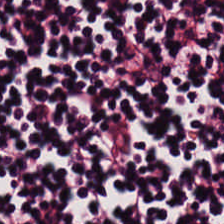224×224 px tile · H&E stain — Tissue: lymphoid infiltrate.
